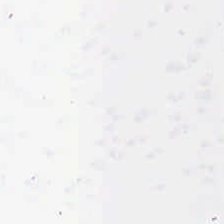0.5 microns per pixel; hematoxylin-and-eosin stained section — Classification — empty background.
